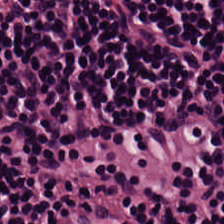Q: What tissue is shown?
A: The field shows lymphocytic infiltrate.
